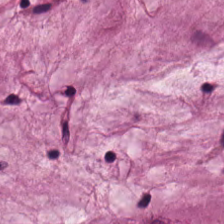Hematoxylin-and-eosin section: mucus.
